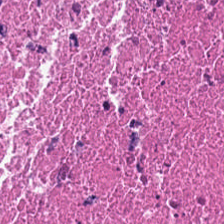H&E.
Q: What type of tissue is this?
A: It is necrotic debris.
